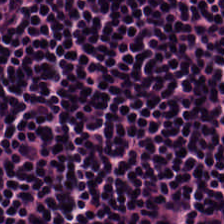Hematoxylin and eosin — Histology → lymphoid infiltrate.
